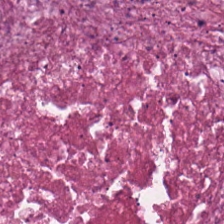The predominant tissue is debris.
